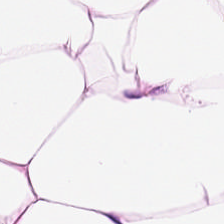H&E. Histology → adipose tissue.
